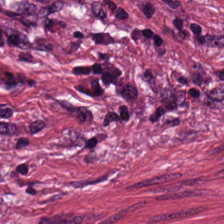Stain: H&E stain.
Acquisition: WSI patch.
Predominant tissue: tumor-associated stroma.
